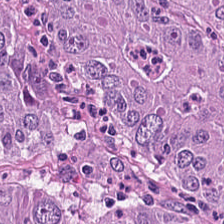H&E-stained tissue section showing adenocarcinoma.
